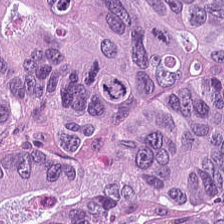Stain: hematoxylin-and-eosin stained section.
Classification: colorectal adenocarcinoma epithelium.
